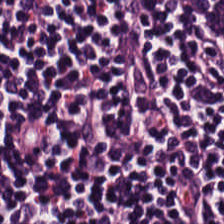0.5 microns per pixel · 224×224 pixel tile · hematoxylin-and-eosin stained section. This patch shows lymphocyte aggregate.
